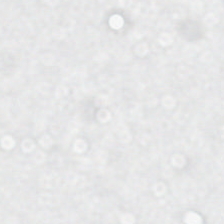H&E · brightfield microscopy. Empty field — background (no tissue).
